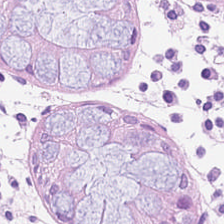Tissue class — normal colonic mucosa.
